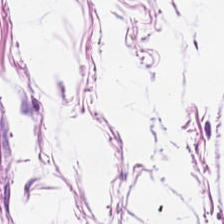224×224 px patch; H&E stain. Q: Classify this patch.
A: This is adipose.
